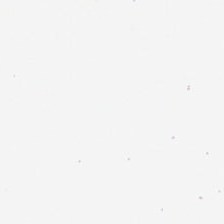Stain: hematoxylin-and-eosin stained section.
Content: no tissue.
